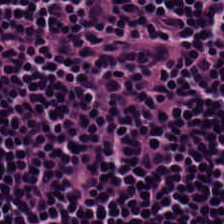224×224 px tile · H&E-stained tissue section.
Predominantly lymphocyte aggregate.
